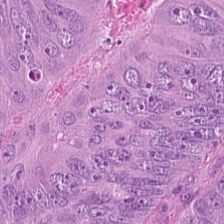Classification — colorectal adenocarcinoma epithelium.
